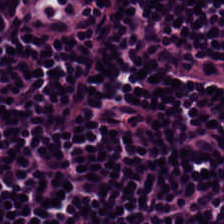Formalin-fixed paraffin-embedded section · H&E-stained tissue section — Lymphocytic infiltrate.
